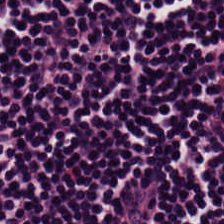Brightfield; H&E stain — Classification — lymphocyte aggregate.
